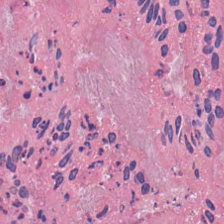Stain: H&E-stained tissue section.
Tile size: 224×224 px patch.
Preparation: FFPE.
Tissue: necrotic debris.
